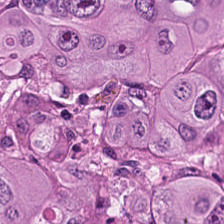Q: What tissue is shown?
A: The field shows malignant epithelium.
